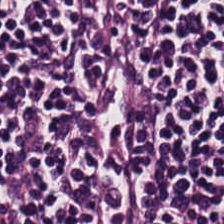Hematoxylin-and-eosin stained section — Tissue = lymphocytes.
